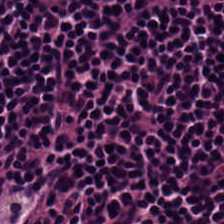H&E.
Histology → lymphoid infiltrate.
